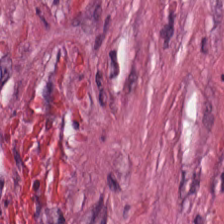Stain: H&E-stained tissue section.
Classification: cancer-associated stroma.
